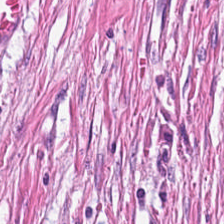H&E-stained section; the field shows tumor stroma.
